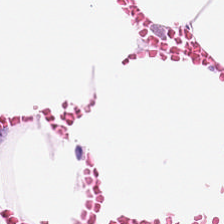H&E stain.
The predominant tissue is adipose.
